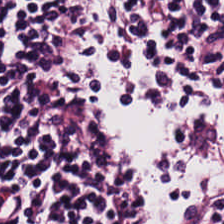H&E-stained tissue section.
The tissue type is lymphoid infiltrate.
